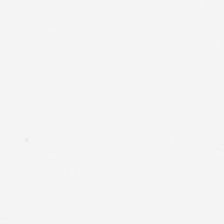Q: Classify this patch.
A: The field shows background (no tissue).
